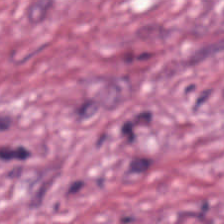Hematoxylin and eosin. Q: What tissue is shown?
A: This is tumor-associated stroma.
